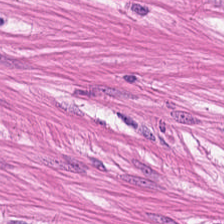Tissue type = smooth muscle.
